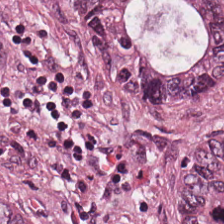Q: Classify this patch.
A: This is colorectal adenocarcinoma epithelium.
